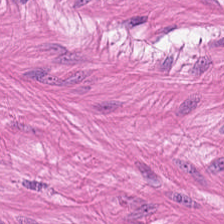0.5 µm per pixel · 224×224 px tile · H&E stain.
Tissue type = smooth-muscle tissue.
